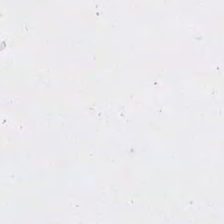Stain: hematoxylin and eosin.
Classification: background (no tissue).
